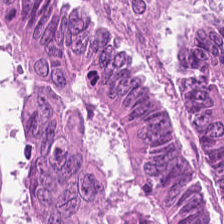0.5 microns per pixel. H&E-stained tissue section. FFPE tissue section. Classification: adenocarcinoma.
